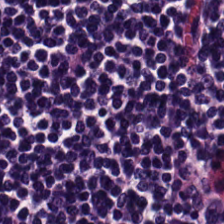H&E-stained tissue section.
Classification: lymphocyte aggregate.
